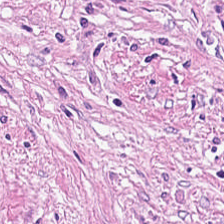H&E stain — This patch shows tumor-associated stroma.
